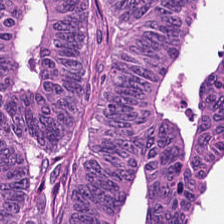Q: What does this patch show?
A: It is adenocarcinoma.
